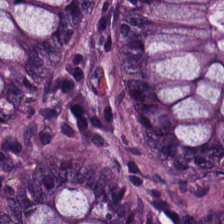Hematoxylin-and-eosin stained section. Impression → normal colonic mucosa.
